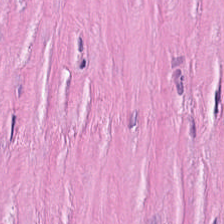Whole-slide-image patch · hematoxylin-and-eosin stained section. Classification — desmoplastic stroma.
